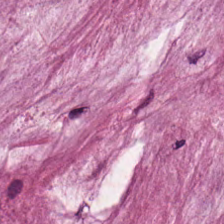H&E.
Finding → mucus.
